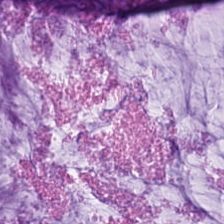Q: What is shown here?
A: This is mucin.
